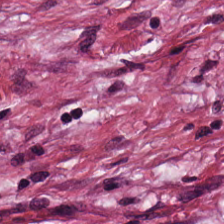Q: What is shown here?
A: This is cancer-associated stroma.
